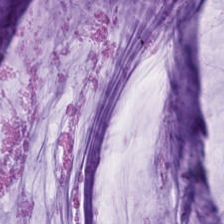H&E-stained tissue section. {"tissue_type": "mucin"}
